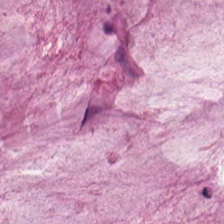Stain: H&E-stained tissue section.
Classification: mucin.
